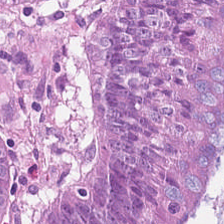224×224 px patch; FFPE tissue section; hematoxylin and eosin. Finding — malignant epithelium.
